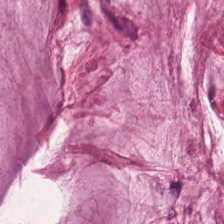H&E stain — Impression — mucus.
